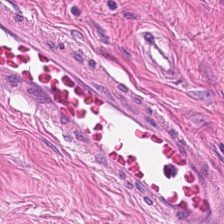224×224 px tile. H&E stain. Predominantly muscularis.
